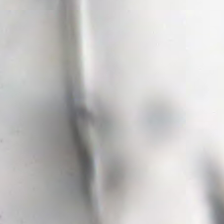Q: What does this patch show?
A: This is no tissue.
